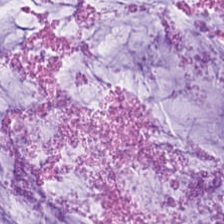H&E — Tissue class — mucin.
